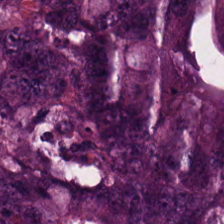H&E-stained tissue section · FFPE tissue section · WSI patch.
The predominant tissue is tumor epithelium.
